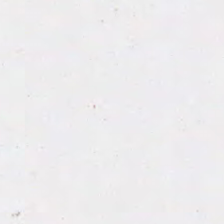Content = empty background.
